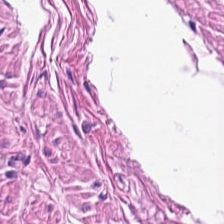H&E-stained tissue section; 224×224 pixel tile.
Showing muscularis.
